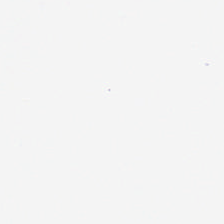Hematoxylin-and-eosin stained section. Classification — empty background.
